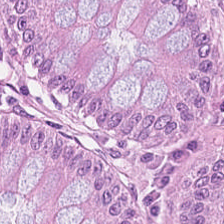H&E; 224×224 px tile; WSI patch — Showing normal colon mucosa.
